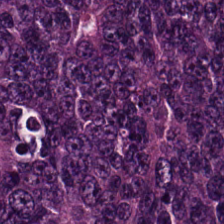Brightfield microscopy; hematoxylin-and-eosin stained section; FFPE. Predominantly tumor epithelium.
